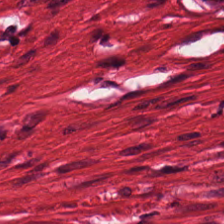Hematoxylin-and-eosin stained section · 0.5 µm per pixel.
Tissue type: smooth-muscle tissue.
